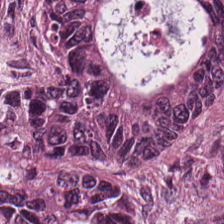Hematoxylin and eosin. Tumor epithelium.
